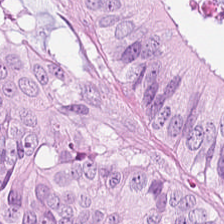224×224 px patch · hematoxylin-and-eosin stained section. Tissue: colorectal adenocarcinoma epithelium.
